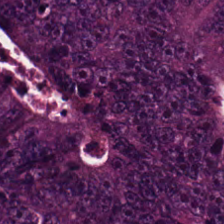H&E stain. Tissue class — malignant epithelium.
